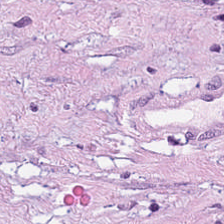Stain: H&E-stained tissue section.
Tissue class: tumor stroma.
